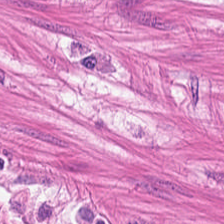Stain: H&E stain.
Predominant tissue: smooth muscle.
